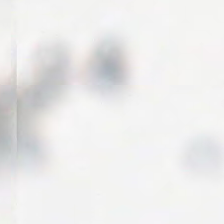H&E.
Impression — no tissue.
